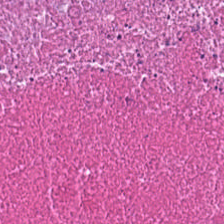Q: What is the predominant tissue type?
A: It is debris.
